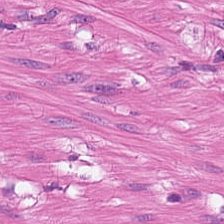Hematoxylin-and-eosin stained section.
Tissue — smooth muscle.
